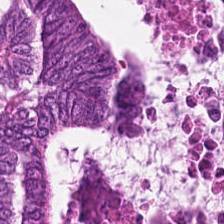Predominant tissue: malignant epithelium.
